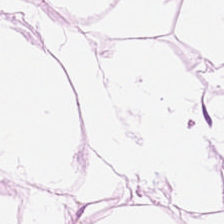H&E patch showing adipose.
